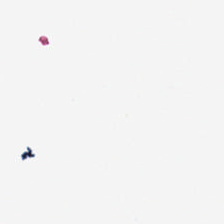H&E-stained tissue section.
Background — no tissue in this field.
